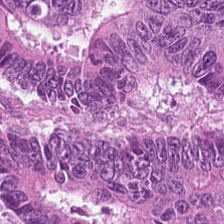Q: What type of tissue is this?
A: It is adenocarcinoma.
